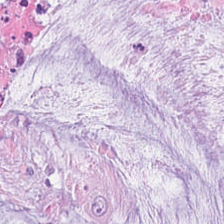H&E-stained tissue section. 0.5 µm/px. Whole-slide-image patch. The predominant tissue is mucus.
